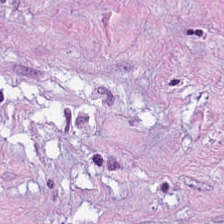Hematoxylin-and-eosin section: tumor stroma.
